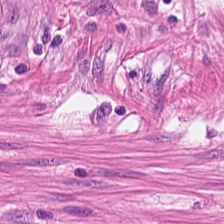H&E.
This patch shows muscularis.
